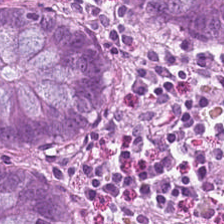H&E. FFPE. The predominant tissue is normal colonic mucosa.
